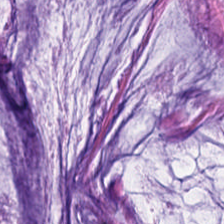H&E.
Mucin.
